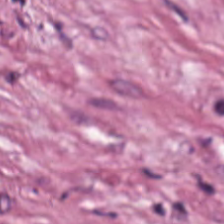224×224 pixel tile; H&E-stained tissue section.
Tissue type = tumor stroma.
